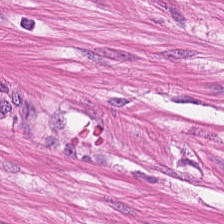Q: What is shown in this field?
A: The field shows muscularis.
